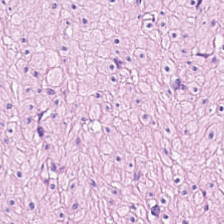Hematoxylin and eosin; brightfield; FFPE tissue section. Smooth-muscle tissue.
